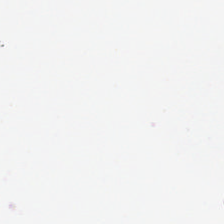Formalin-fixed paraffin-embedded section · 20× equivalent magnification · hematoxylin-and-eosin stained section. This field is background (no tissue).
